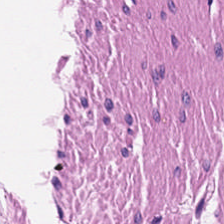Brightfield. 224×224 px tile. H&E. Tissue type: smooth-muscle tissue.
